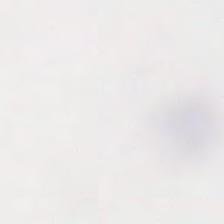Q: What does this patch show?
A: It is background (no tissue).
